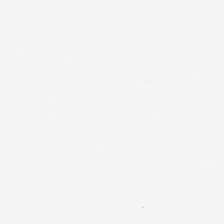0.5 µm/px · H&E stain · brightfield microscopy.
Q: Classify this patch.
A: The field shows empty background.
